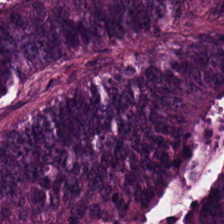Stain: hematoxylin and eosin.
Tissue class: malignant epithelium.
